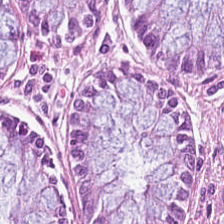H&E-stained tissue section — Predominant tissue — benign colonic mucosa.
